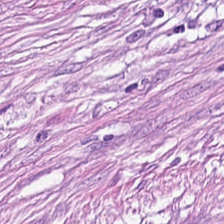Stain: hematoxylin-and-eosin stained section.
Acquisition: brightfield microscopy.
Tile size: 224×224 px tile.
Tissue: cancer-associated stroma.
